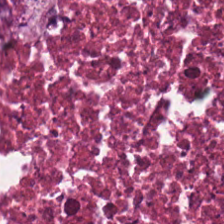224×224 pixel tile · H&E — This patch shows cellular debris.
